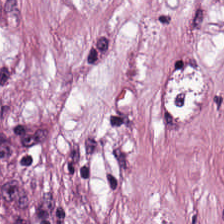H&E-stained tissue section. This patch shows cancer-associated stroma.
